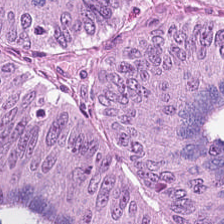Hematoxylin-and-eosin stained section · 0.5 µm per pixel · 224×224 px patch.
Q: Classify this patch.
A: It is malignant epithelium.
